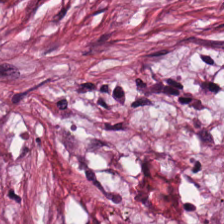Hematoxylin and eosin. Q: What is shown in this field?
A: It is tumor stroma.
